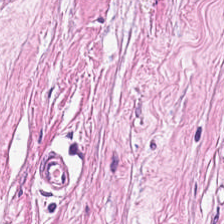Hematoxylin and eosin; 224×224 px patch — Impression — cancer-associated stroma.
